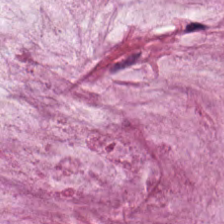Brightfield microscopy · H&E-stained tissue section.
Q: Classify this patch.
A: This is extracellular mucin.
